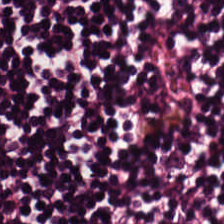The tissue is lymphocytes.
